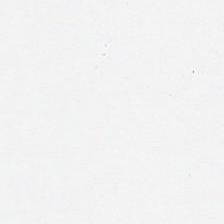This field is background (no tissue).
